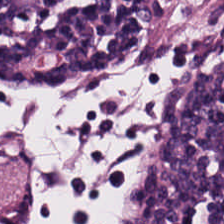Whole-slide-image patch; H&E-stained tissue section; FFPE.
This field is lymphocyte aggregate.
